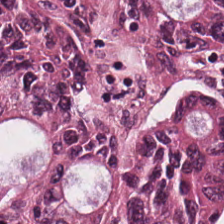Formalin-fixed paraffin-embedded section. 20× equivalent magnification. Hematoxylin-and-eosin stained section. The predominant tissue is colorectal adenocarcinoma.
